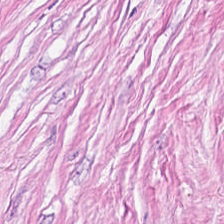Hematoxylin-and-eosin stained section — The classification is cancer-associated stroma.
